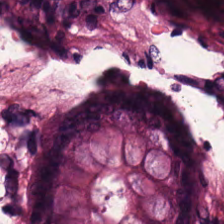224×224 px tile · H&E stain.
Q: Identify the tissue.
A: The field shows normal colon mucosa.
